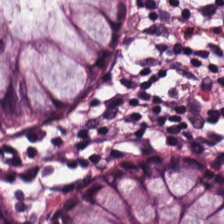224×224 pixel tile. H&E.
Q: What does this patch show?
A: Non-neoplastic colon mucosa.
